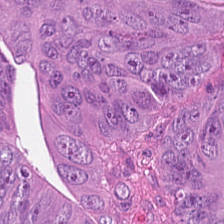224×224 pixel tile. FFPE tissue section. Hematoxylin-and-eosin stained section. This patch shows adenocarcinoma.
